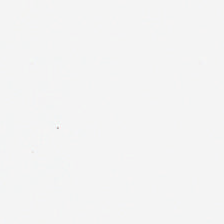H&E-stained tissue section. Formalin-fixed paraffin-embedded section. 0.5 microns per pixel. This field is background (no tissue).
